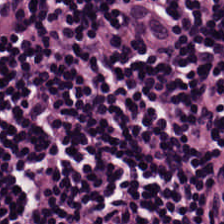Stain: hematoxylin-and-eosin stained section.
Tissue: lymphoid infiltrate.
